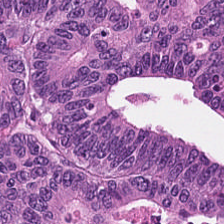224×224 pixel tile · H&E-stained tissue section · 0.5 µm per pixel.
The tissue here is colorectal adenocarcinoma.
